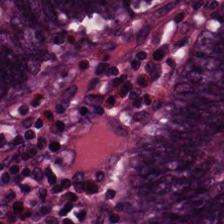H&E-stained tissue section.
Impression — normal colon mucosa.
